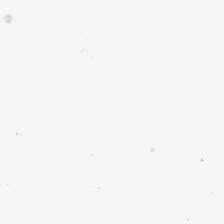{"content": "background (no tissue)"}
